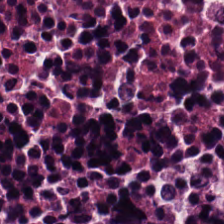Formalin-fixed paraffin-embedded section; H&E. Q: What does this patch show?
A: It is necrotic debris.
